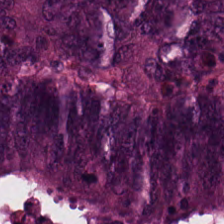Hematoxylin-and-eosin stained section. 224×224 px tile. Q: What is the predominant tissue type?
A: The field shows colorectal adenocarcinoma.
